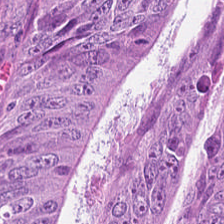0.5 µm per pixel; hematoxylin and eosin — Tissue type = colorectal adenocarcinoma.
